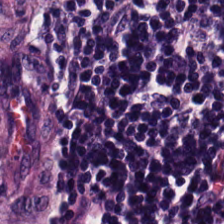Brightfield microscopy; H&E stain. Predominantly lymphocytes.
